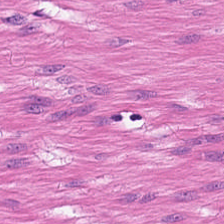The predominant tissue is smooth muscle.
